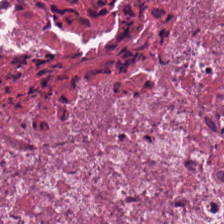H&E stain.
Q: What is shown here?
A: This is debris.
